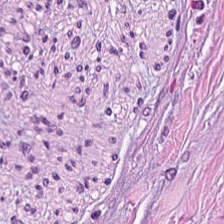This field is tumor stroma.
